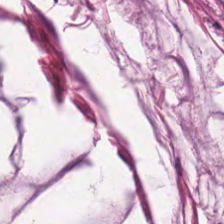H&E stain. Showing extracellular mucin.
